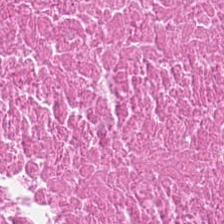Brightfield microscopy. Hematoxylin and eosin. The tissue type is cellular debris.
